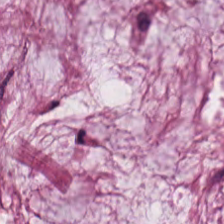Impression — extracellular mucin.
